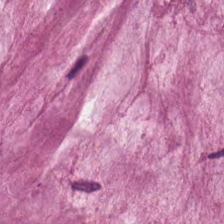H&E stain; 224×224 px tile.
Tissue class: mucin.
